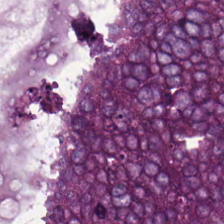Tumor epithelium.
